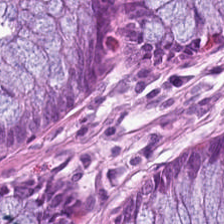Tissue type — non-neoplastic colon mucosa.
